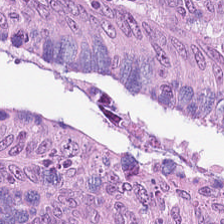Tissue class: colorectal adenocarcinoma epithelium.
